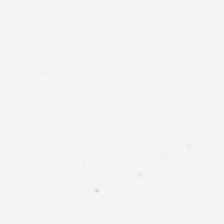0.5 µm per pixel; H&E-stained tissue section — Q: What is shown in this field?
A: The field shows background (no tissue).
